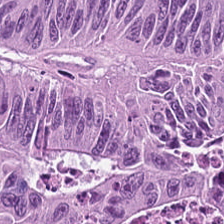H&E. Classification = adenocarcinoma.
